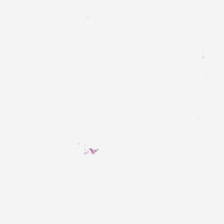H&E-stained tissue section · 224×224 px tile. This patch shows no tissue.
